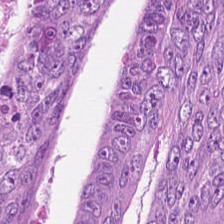0.5 microns per pixel. H&E-stained tissue section. Q: Identify the tissue.
A: The field shows tumor epithelium.
